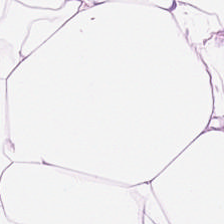Predominant tissue = adipose.
